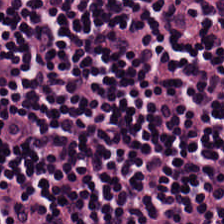H&E stain — Classification: lymphocyte aggregate.
